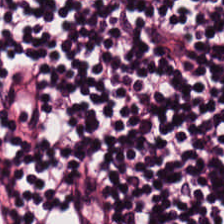The tissue class is lymphocytic infiltrate.
